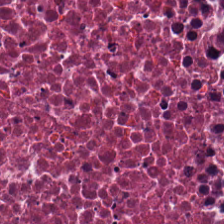Stain: H&E stain.
Resolution: 20× equivalent magnification.
Tissue: necrotic debris.
